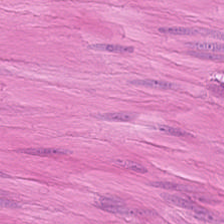Whole-slide-image patch. 0.5 µm/px. Hematoxylin-and-eosin stained section.
Q: What is shown in this field?
A: This is muscularis.
